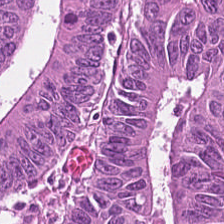H&E · formalin-fixed paraffin-embedded section — Showing colorectal adenocarcinoma.
